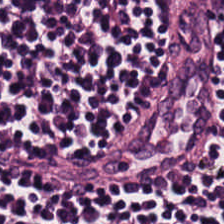Hematoxylin-and-eosin stained section. The tissue type is lymphocyte aggregate.
